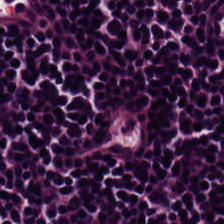Whole-slide-image patch. H&E stain. Finding — lymphocyte aggregate.
